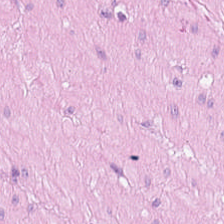H&E stain.
The predominant tissue is smooth muscle.
